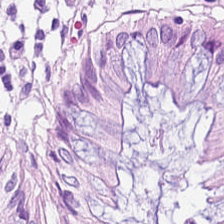Stain: H&E.
Tile size: 224×224 pixel tile.
Tissue: normal colon mucosa.
